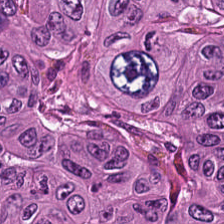H&E · 0.5 microns per pixel. Predominant tissue — malignant epithelium.
